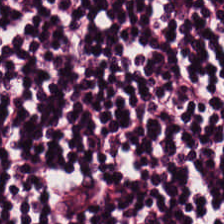Tissue type: lymphocytes.
